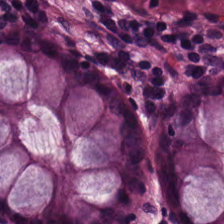Stain: hematoxylin and eosin.
Tile size: 224×224 pixel tile.
Tissue type: benign colonic mucosa.
